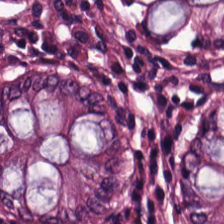Brightfield microscopy. 224×224 pixel tile. Hematoxylin and eosin.
Q: What tissue is shown?
A: The field shows non-neoplastic colon mucosa.
